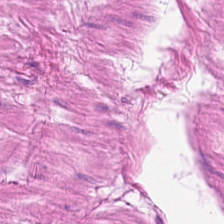Classification — smooth muscle.
